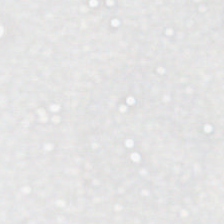Field content = background.
